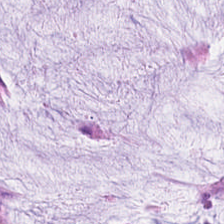Hematoxylin-and-eosin stained section; brightfield microscopy; 224×224 pixel tile. This field is mucin.
